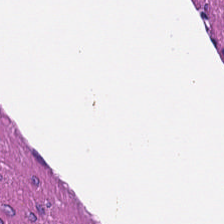20× equivalent magnification; hematoxylin-and-eosin stained section; 224×224 pixel tile — Predominant tissue: smooth muscle.
